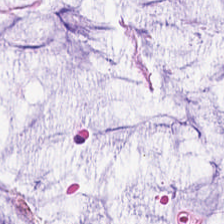FFPE tissue section · whole-slide-image patch · hematoxylin and eosin.
Tissue type = mucin.
